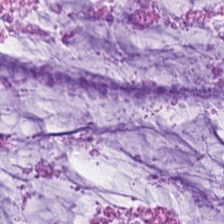The classification is mucus.
